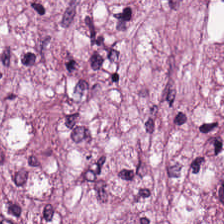224×224 px tile. Formalin-fixed paraffin-embedded section. Hematoxylin and eosin.
Showing tumor-associated stroma.
